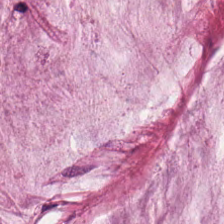Extracellular mucin.
